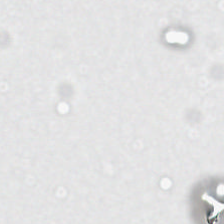Brightfield. Hematoxylin-and-eosin stained section. Field content = background.
